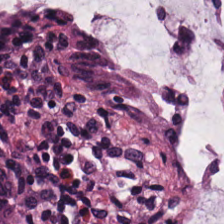Hematoxylin and eosin · brightfield microscopy. Showing non-neoplastic colon mucosa.
